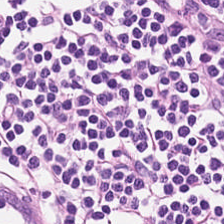Brightfield microscopy · H&E-stained tissue section. This patch shows lymphoid infiltrate.
